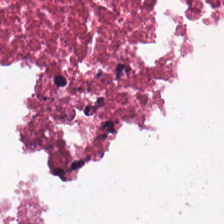Stain: H&E stain.
Acquisition: WSI patch.
Tissue class: debris.
